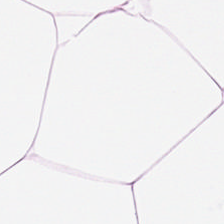Hematoxylin and eosin.
{"tissue_type": "adipose tissue"}
